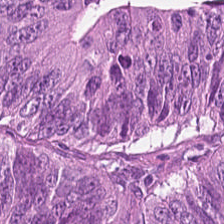FFPE · H&E-stained tissue section. The predominant tissue is colorectal adenocarcinoma.
